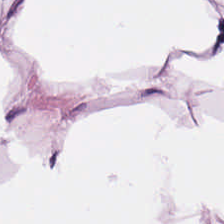Stain: hematoxylin and eosin.
Tile size: 224×224 px patch.
Acquisition: whole-slide-image patch.
Tissue type: adipocytes.
